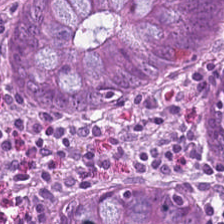H&E — benign colonic mucosa.
